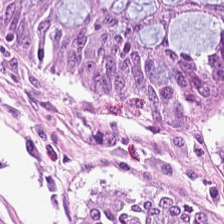H&E-stained tissue section.
Tissue type = benign colonic mucosa.
